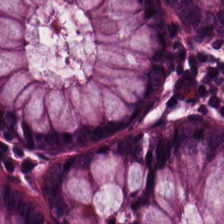H&E-stained section; the field shows non-neoplastic colon mucosa.
